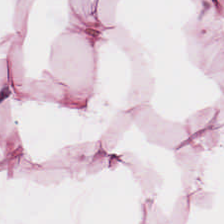H&E. Tissue type — adipose tissue.
